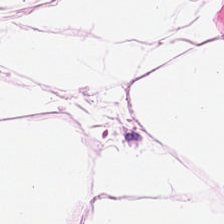Histology → fat tissue.
